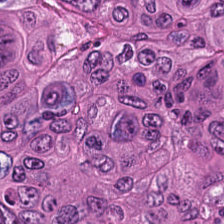H&E stain. The predominant tissue is colorectal adenocarcinoma.
